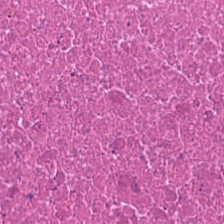Whole-slide-image patch; 224×224 pixel tile; H&E — Showing debris.
